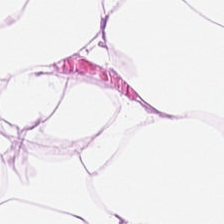Histology → adipose tissue.
